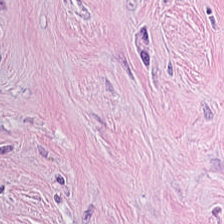H&E — This patch shows tumor-associated stroma.
